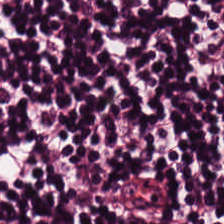H&E-stained tissue section; 224×224 px tile; brightfield microscopy.
The tissue here is lymphocyte aggregate.
